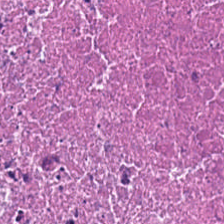Stain: H&E.
Resolution: 0.5 µm/px.
Tissue class: debris.
